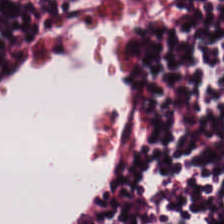H&E — The predominant tissue is lymphocytic infiltrate.
